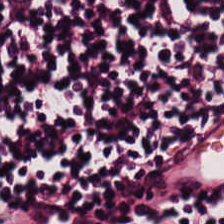Stain: H&E.
Classification: lymphocytes.
